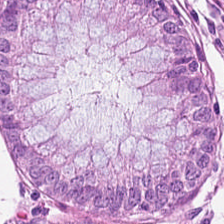Hematoxylin-and-eosin stained section; brightfield.
Histology → normal colonic mucosa.
